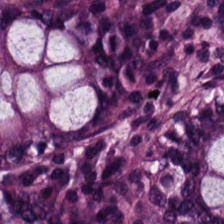H&E stain.
Histology — normal colonic mucosa.
